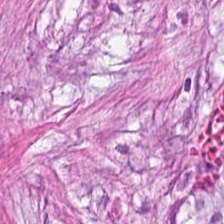Stain: H&E stain.
Classification: cancer-associated stroma.
